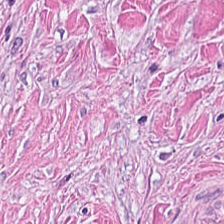Stain: H&E.
Acquisition: brightfield microscopy.
Preparation: FFPE.
Tissue type: tumor-associated stroma.
